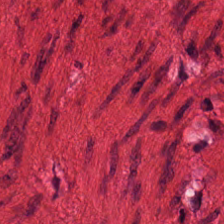H&E-stained tissue section; 20× equivalent magnification; 224×224 pixel tile. {"tissue_type": "smooth-muscle tissue"}
